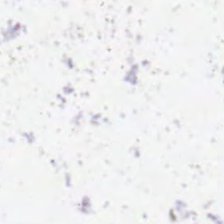Hematoxylin and eosin. The classification is background (no tissue).
